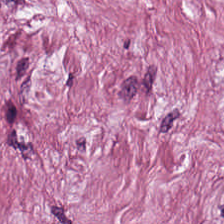0.5 microns per pixel; H&E-stained tissue section. The tissue here is tumor stroma.
